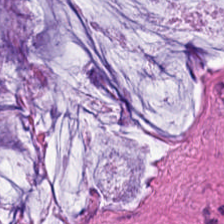20× equivalent magnification. Hematoxylin-and-eosin stained section. 224×224 px patch.
Tissue type = extracellular mucin.
